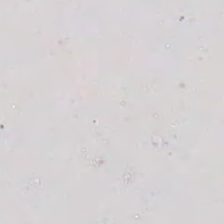Q: Classify this patch.
A: Background.
